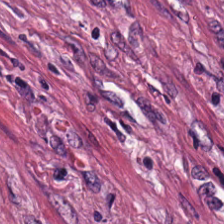Tissue type: cancer-associated stroma.
